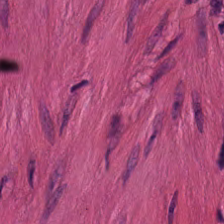H&E stain · 224×224 px patch — Smooth muscle.
